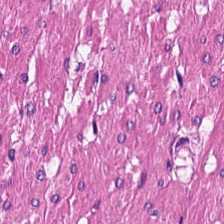H&E stain — Impression → smooth muscle.
